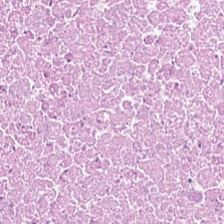H&E stain.
Predominant tissue = debris.
